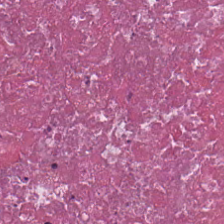{"tissue_type": "necrotic debris"}
